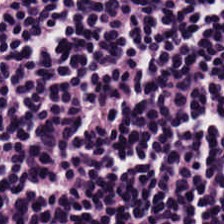Hematoxylin and eosin — Lymphocyte aggregate.
